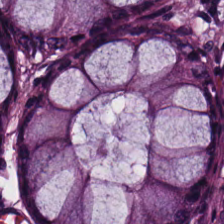224×224 pixel tile · H&E stain — Q: What is shown here?
A: The field shows benign colonic mucosa.
